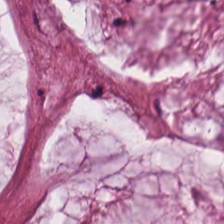H&E stain.
Mucus.
